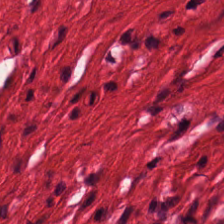0.5 µm/px. Hematoxylin and eosin — This field is smooth muscle.
